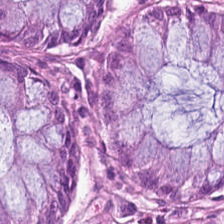224×224 px patch. H&E. Formalin-fixed paraffin-embedded section.
Tissue class — benign colonic mucosa.
